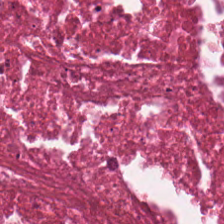0.5 µm per pixel · WSI patch · H&E — Predominantly cellular debris.
